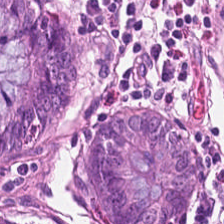H&E-stained tissue section.
Tissue — benign colonic mucosa.
